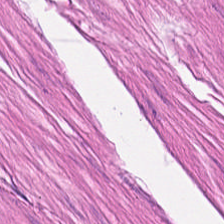H&E.
Classification = muscularis.
